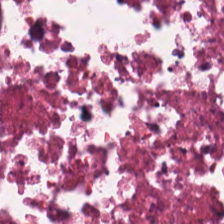This field is necrotic debris.
